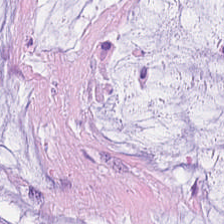This field is extracellular mucin.
